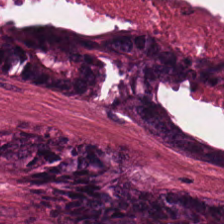Hematoxylin and eosin — Classification: malignant epithelium.
